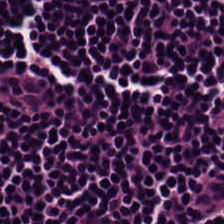Hematoxylin-and-eosin stained section — Predominantly lymphocytes.
